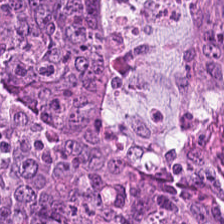H&E. The tissue class is malignant epithelium.
